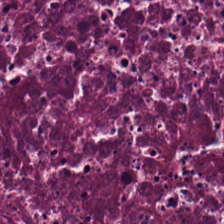H&E-stained tissue section — {"tissue_type": "debris"}
